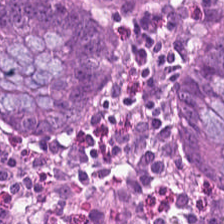The predominant tissue is benign colonic mucosa.
